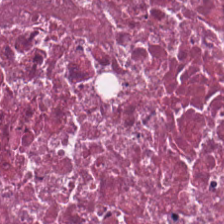224×224 px tile. 0.5 µm per pixel. Hematoxylin-and-eosin stained section. Cellular debris.
